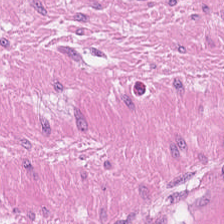Predominant tissue — smooth muscle.
